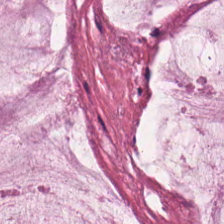H&E stain — Mucus.
